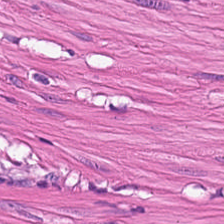Q: Identify the tissue.
A: It is smooth muscle.
